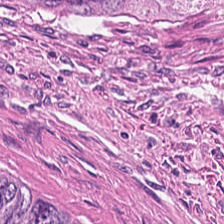H&E-stained tissue section — Impression — necrotic debris.
